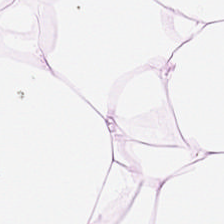H&E stain — Showing adipose tissue.
